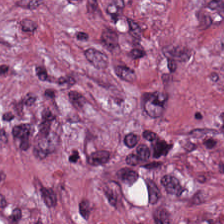This patch shows tumor-associated stroma.
